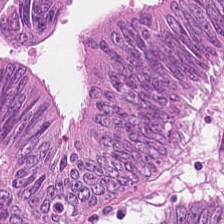Formalin-fixed paraffin-embedded section. Hematoxylin-and-eosin stained section.
This field is colorectal adenocarcinoma.
